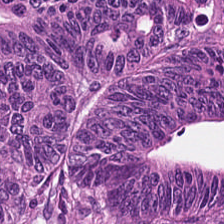H&E stain. The tissue class is adenocarcinoma.
